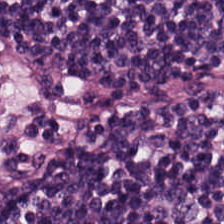H&E · 224×224 pixel tile.
{"tissue_type": "lymphocytic infiltrate"}
